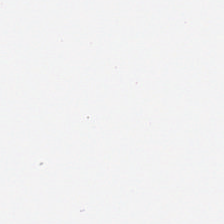Formalin-fixed paraffin-embedded section. H&E stain. 224×224 px tile. Field content = background.
